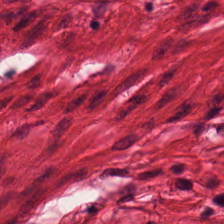H&E. Showing muscularis.
